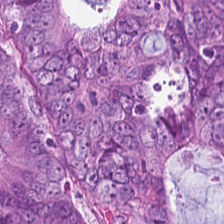Hematoxylin-and-eosin stained section.
This field is malignant epithelium.
